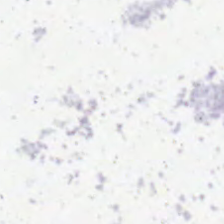Field content: background (no tissue).
